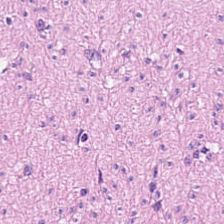H&E-stained tissue section · FFPE tissue section · 20× equivalent magnification — Predominantly muscularis.
